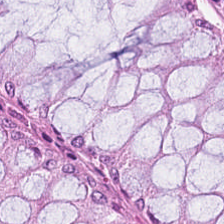Histology — non-neoplastic colon mucosa.
